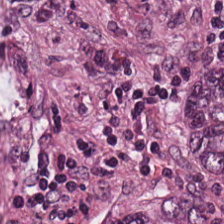0.5 µm per pixel; 224×224 pixel tile; hematoxylin-and-eosin stained section. Predominantly colorectal adenocarcinoma epithelium.
